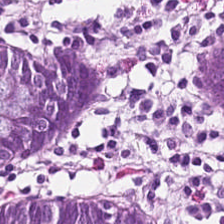Impression — non-neoplastic colon mucosa.
